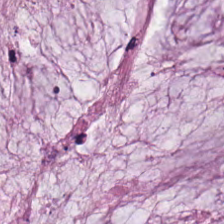H&E — Q: What is shown in this field?
A: It is extracellular mucin.
